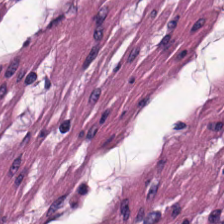Stain: hematoxylin and eosin.
Resolution: 0.5 microns per pixel.
Tile size: 224×224 px patch.
Tissue type: muscularis.
